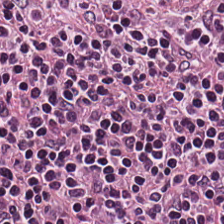224×224 pixel tile. Hematoxylin-and-eosin stained section — This field is lymphoid infiltrate.
